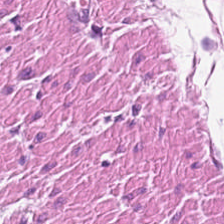224×224 px tile. H&E stain — Q: What is shown here?
A: This is smooth-muscle tissue.
